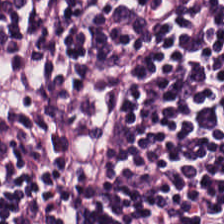Tissue type — lymphoid infiltrate.
